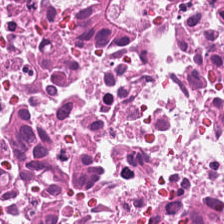H&E stain. Q: Identify the tissue.
A: It is cellular debris.
